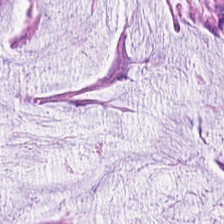H&E — This patch shows extracellular mucin.
